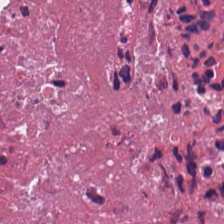Whole-slide-image patch; H&E; formalin-fixed paraffin-embedded section. This patch shows necrotic debris.
